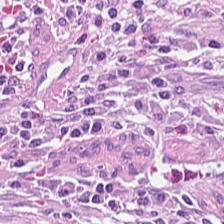Cancer-associated stroma.
